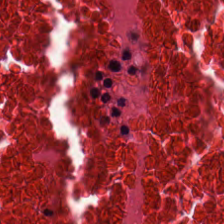{"tissue_type": "cellular debris"}
